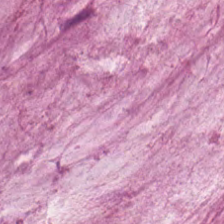0.5 microns per pixel. FFPE tissue section. Hematoxylin and eosin — The tissue here is mucus.
